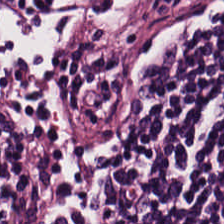Stain: H&E-stained tissue section.
Classification: lymphocytes.
